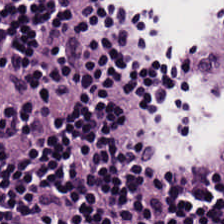This field is lymphocyte aggregate.
